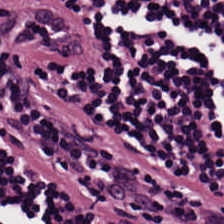Hematoxylin-and-eosin stained section. The tissue here is lymphocytes.
